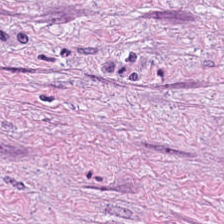Hematoxylin-and-eosin stained section — The predominant tissue is tumor-associated stroma.
